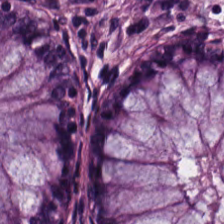H&E-stained tissue section — The predominant tissue is non-neoplastic colon mucosa.
